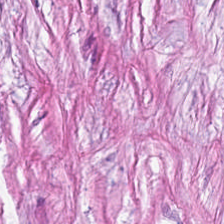Formalin-fixed paraffin-embedded section; H&E stain. Q: What does this patch show?
A: It is cancer-associated stroma.
